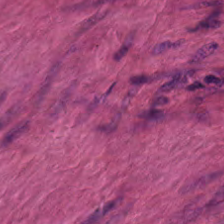Hematoxylin-and-eosin stained section; 224×224 px tile; 0.5 µm/px.
Predominant tissue: smooth muscle.
